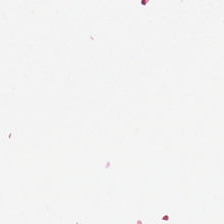H&E-stained tissue section.
Empty background.
